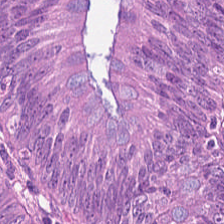Stain: hematoxylin-and-eosin stained section.
Tile size: 224×224 pixel tile.
Tissue class: adenocarcinoma.
